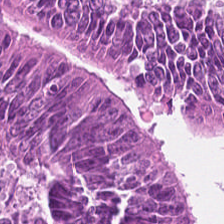Tissue class — tumor epithelium.
